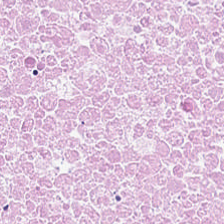Hematoxylin and eosin.
Showing cellular debris.
